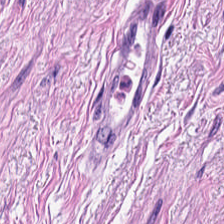This patch shows smooth muscle.
